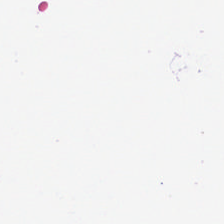Hematoxylin-and-eosin stained section; whole-slide-image patch; 224×224 px tile. Impression — no tissue.
